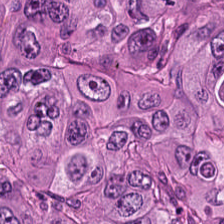Hematoxylin-and-eosin stained section. Predominantly malignant epithelium.
